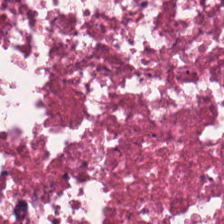H&E-stained tissue section; 0.5 µm/px — Tissue type = necrotic debris.
